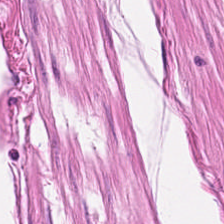Formalin-fixed paraffin-embedded section · hematoxylin and eosin. The tissue type is smooth-muscle tissue.
